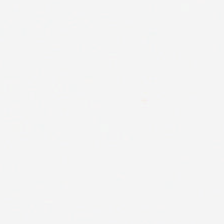Hematoxylin and eosin. This field is background (no tissue).
